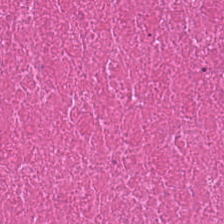Tissue class — necrotic debris.
